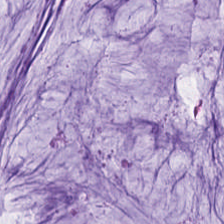H&E.
The classification is mucus.
